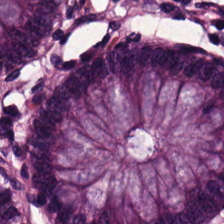FFPE. H&E. The predominant tissue is normal colon mucosa.
